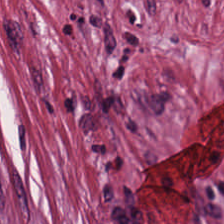H&E-stained tissue section. 0.5 µm/px — Showing cancer-associated stroma.
